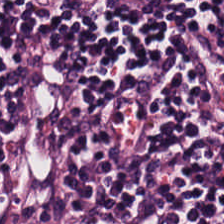Lymphocyte aggregate.
